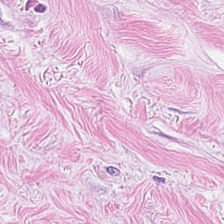Hematoxylin and eosin. This field is tumor-associated stroma.
